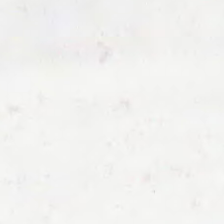H&E-stained tissue section. FFPE tissue section — Classification — background.
